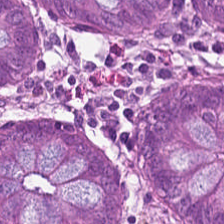Hematoxylin and eosin. Q: What is shown in this field?
A: The field shows normal colonic mucosa.
